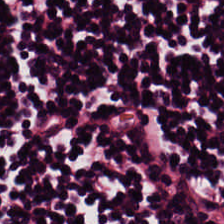Hematoxylin-and-eosin stained section. Histology → lymphocytic infiltrate.
